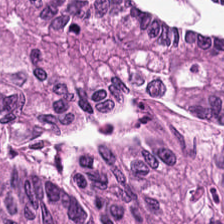Malignant epithelium.
